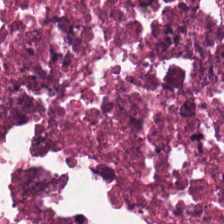Hematoxylin-and-eosin stained section · 224×224 px tile. This field is necrotic debris.
